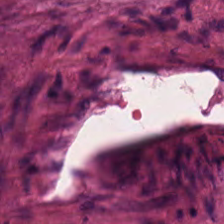Hematoxylin and eosin. Q: What tissue is shown?
A: The field shows tumor stroma.
